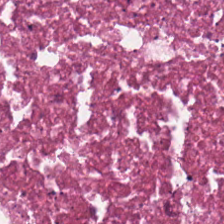H&E-stained tissue section.
Showing debris.
